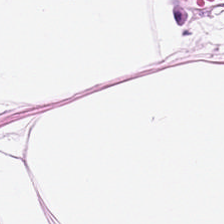H&E-stained tissue section. Classification = adipocytes.
